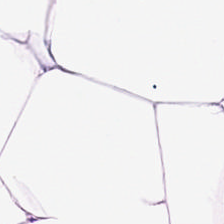Hematoxylin and eosin.
Predominantly adipose tissue.
